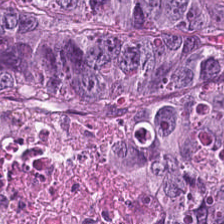H&E. The tissue here is colorectal adenocarcinoma epithelium.
